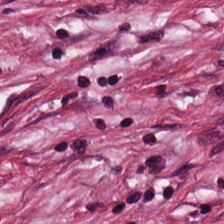Stain: hematoxylin and eosin.
Tissue: desmoplastic stroma.
